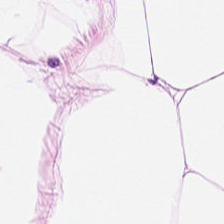Hematoxylin and eosin. 20× equivalent magnification. WSI patch. The classification is fat tissue.
